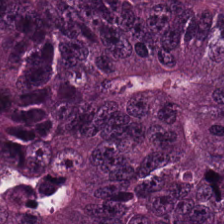H&E stain — Classification — adenocarcinoma.
